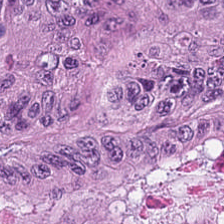H&E stain. Q: What tissue type is shown here?
A: The field shows tumor epithelium.
